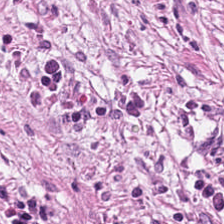H&E-stained tissue section. The classification is tumor-associated stroma.
